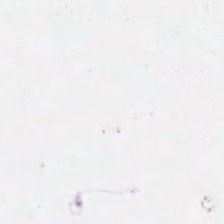Empty field — background (no tissue).
